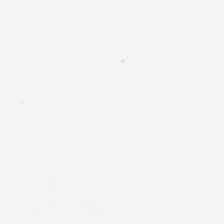FFPE tissue section; hematoxylin and eosin. {"content": "background (no tissue)"}
